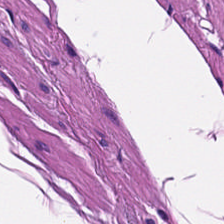H&E — muscularis.
